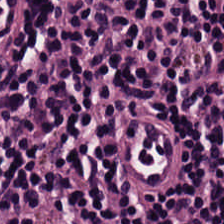H&E.
Q: Classify this patch.
A: The field shows lymphocytes.
